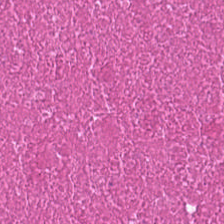Hematoxylin and eosin.
The tissue class is necrotic debris.
